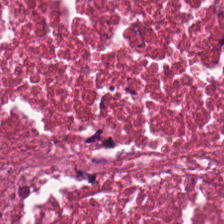Hematoxylin-and-eosin stained section — The tissue is cellular debris.
